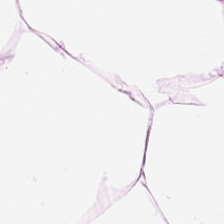H&E — This patch shows adipose.
